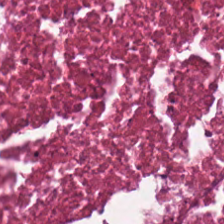Hematoxylin-and-eosin stained section.
Finding → debris.
